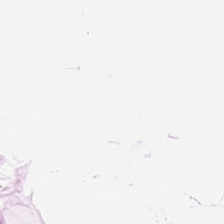Q: What is shown here?
A: Adipose.
